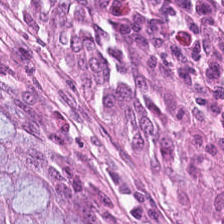This field is benign colonic mucosa.
